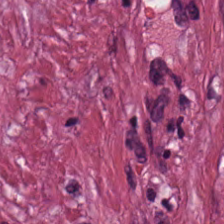Hematoxylin-and-eosin stained section — Finding → desmoplastic stroma.
